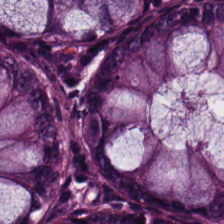H&E stain — Predominantly benign colonic mucosa.
